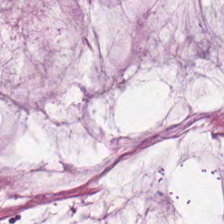Hematoxylin and eosin. Tissue type = extracellular mucin.
